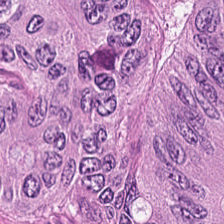WSI patch · hematoxylin and eosin · 0.5 microns per pixel.
The predominant tissue is colorectal adenocarcinoma epithelium.
